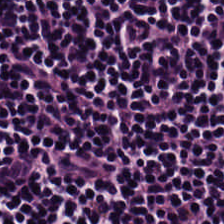H&E stain. The predominant tissue is lymphocytes.
